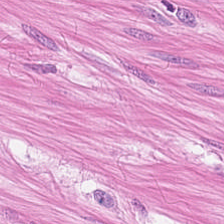H&E-stained tissue section. Whole-slide-image patch — This field is smooth-muscle tissue.
